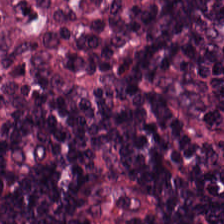0.5 microns per pixel. Hematoxylin and eosin. Whole-slide-image patch.
This field is lymphocyte aggregate.
